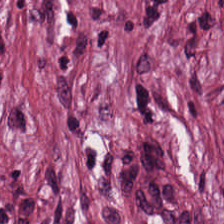0.5 µm/px; H&E stain.
Showing cancer-associated stroma.
